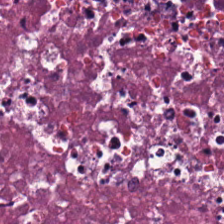Hematoxylin and eosin.
The tissue type is necrotic debris.
